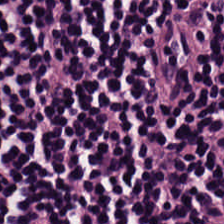WSI patch. Formalin-fixed paraffin-embedded section. Hematoxylin-and-eosin stained section.
Tissue: lymphocytic infiltrate.
